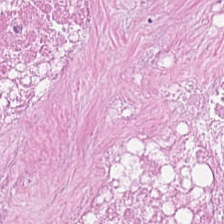Stain: hematoxylin-and-eosin stained section.
Resolution: 0.5 µm/px.
Classification: necrotic debris.
